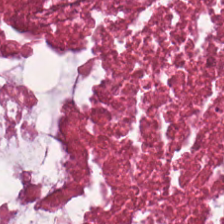H&E-stained tissue section — The tissue here is debris.
